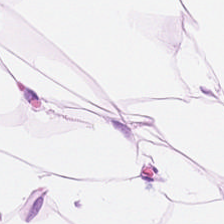H&E; WSI patch.
Impression → fat tissue.
